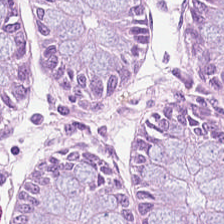Hematoxylin and eosin — Showing benign colonic mucosa.
